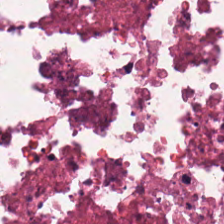Stain: hematoxylin-and-eosin stained section.
Acquisition: whole-slide-image patch.
Tissue type: debris.
